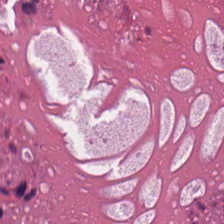Stain: hematoxylin and eosin.
Tissue type: cellular debris.
